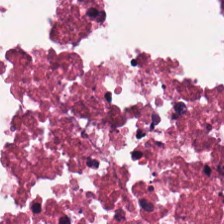Stain: H&E stain.
Tissue class: debris.
